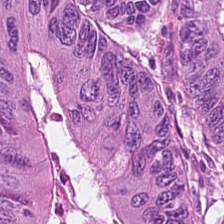224×224 pixel tile; hematoxylin-and-eosin stained section.
This field is adenocarcinoma.
